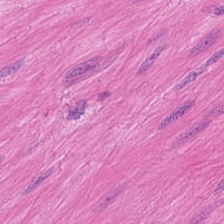H&E-stained tissue section · 0.5 microns per pixel — Finding — smooth muscle.
